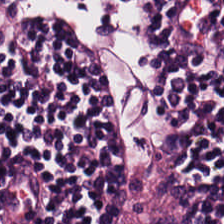Tissue class: lymphoid infiltrate.
